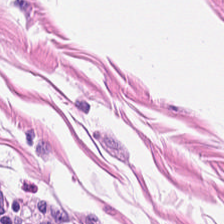FFPE tissue section · H&E stain.
Tissue class = smooth muscle.
